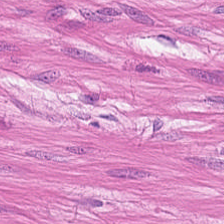H&E · brightfield — Classification — smooth-muscle tissue.
